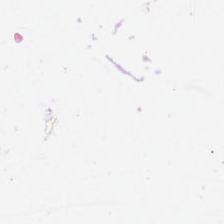The field content is background (no tissue).
